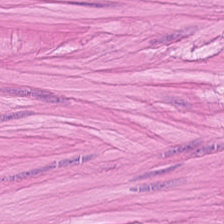224×224 px tile · brightfield · H&E stain.
Q: What type of tissue is this?
A: It is muscularis.
